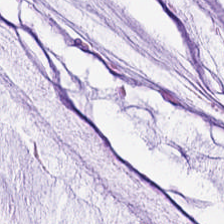Classification = mucin.
